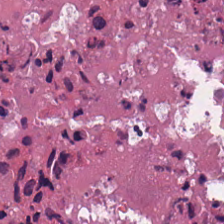224×224 px tile · H&E-stained tissue section — Tissue type = necrotic debris.
